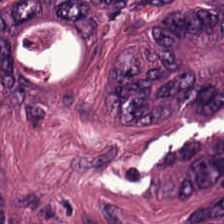Histology → colorectal adenocarcinoma epithelium.
